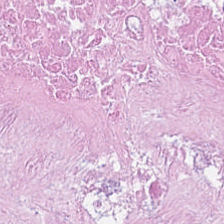Hematoxylin-and-eosin stained section.
Tissue class — necrotic debris.
